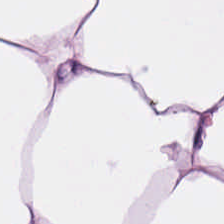Hematoxylin and eosin.
Q: What is the predominant tissue type?
A: It is adipose tissue.
